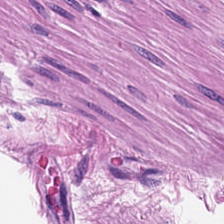H&E patch showing muscularis.
